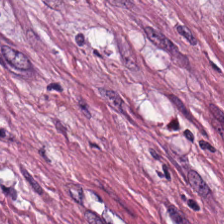Q: Identify the tissue.
A: It is cancer-associated stroma.
